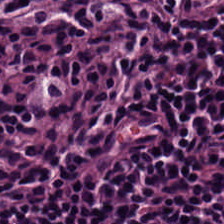Classification: lymphocytic infiltrate.
